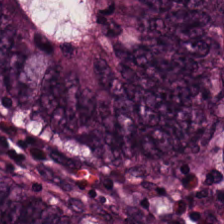H&E stain. This field is adenocarcinoma.
